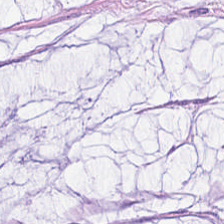H&E stain. Histology — mucus.
